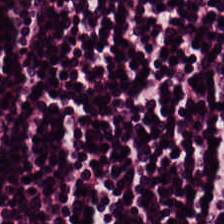The tissue is lymphocyte aggregate.
